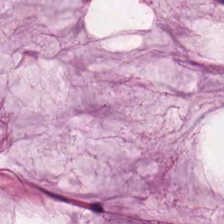H&E stain — Impression — mucin.
